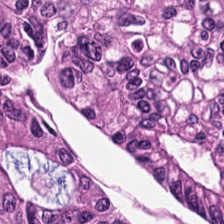Finding → colorectal adenocarcinoma.
